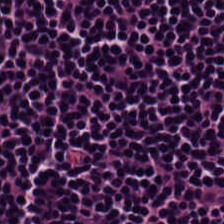Hematoxylin and eosin. Q: What is shown here?
A: It is lymphoid infiltrate.
